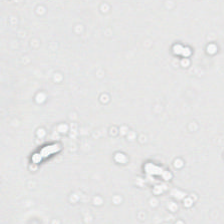WSI patch · hematoxylin-and-eosin stained section · 224×224 px tile. Classification: background (no tissue).
